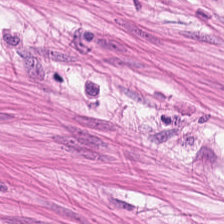Tissue class = smooth muscle.
